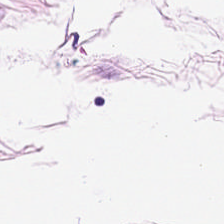Q: What tissue is shown?
A: This is adipose.
